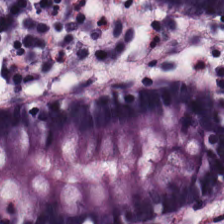H&E stain; 224×224 px patch — Predominantly non-neoplastic colon mucosa.
